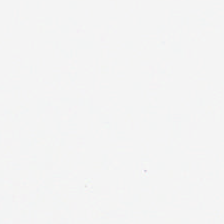H&E-stained tissue section; FFPE tissue section; 224×224 pixel tile.
Background (no tissue).
